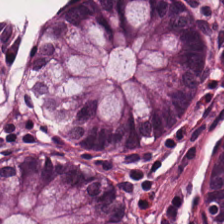H&E-stained tissue section — Tissue = non-neoplastic colon mucosa.
